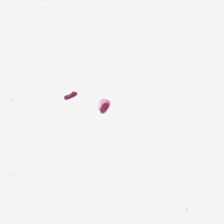Q: What is shown here?
A: Background (no tissue).
